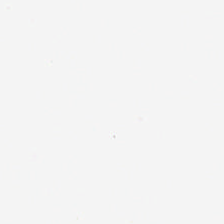Formalin-fixed paraffin-embedded section · H&E. Finding — empty background.
